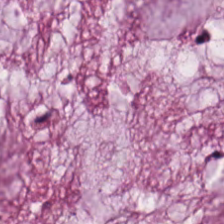0.5 µm per pixel; hematoxylin-and-eosin stained section.
Predominantly mucus.
